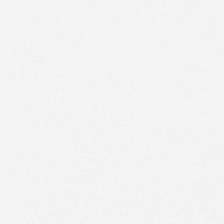H&E stain — Finding — background.
